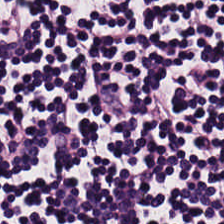H&E · 0.5 µm/px. This field is lymphoid infiltrate.
